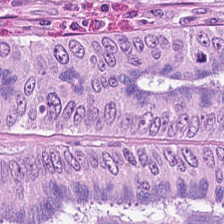H&E-stained tissue section. 224×224 px tile. This field is colorectal adenocarcinoma epithelium.
